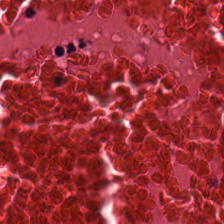H&E stain.
{"tissue_type": "debris"}
